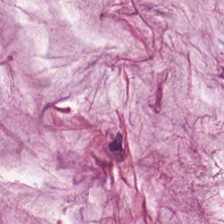Impression — extracellular mucin.
